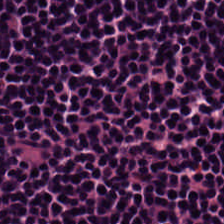WSI patch · H&E-stained tissue section. The classification is lymphocyte aggregate.
